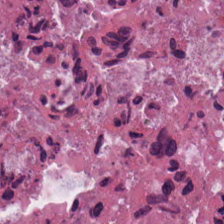Stain: hematoxylin-and-eosin stained section.
Preparation: formalin-fixed paraffin-embedded section.
Tile size: 224×224 px patch.
Classification: necrotic debris.
